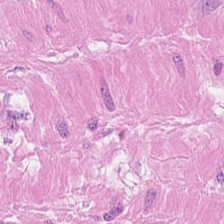Hematoxylin and eosin — Q: What is shown in this field?
A: It is smooth-muscle tissue.
